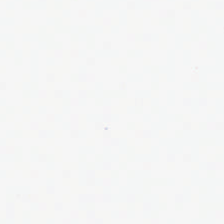Empty field — background.
